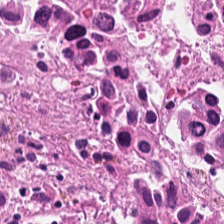H&E patch showing debris.
